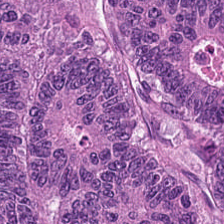FFPE · hematoxylin and eosin — Q: What is shown here?
A: This is adenocarcinoma.
